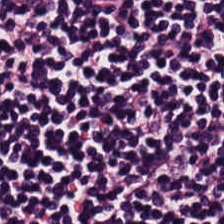The tissue here is lymphoid infiltrate.
